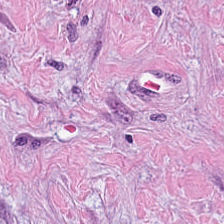Formalin-fixed paraffin-embedded section; H&E stain. {"tissue_type": "cancer-associated stroma"}
